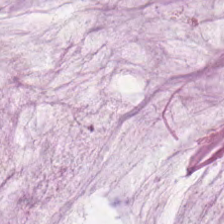H&E. 224×224 px patch. Extracellular mucin.
